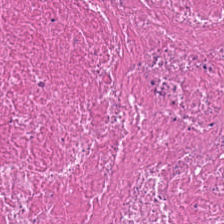Q: What tissue type is shown here?
A: This is cellular debris.
